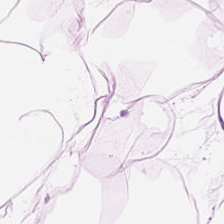H&E. Formalin-fixed paraffin-embedded section. WSI patch. Classification: fat tissue.
